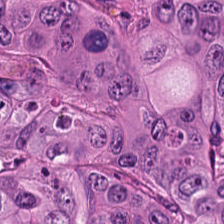H&E; 0.5 microns per pixel — Q: Classify this patch.
A: This is colorectal adenocarcinoma.
